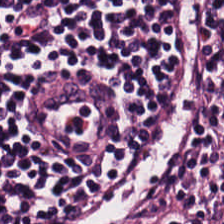Stain: hematoxylin-and-eosin stained section.
Tile size: 224×224 pixel tile.
Tissue: lymphocyte aggregate.
